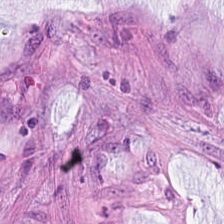Hematoxylin and eosin — Tissue: extracellular mucin.
